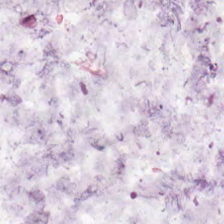H&E — This patch shows mucin.
